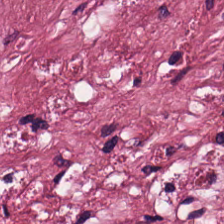Predominant tissue — cancer-associated stroma.
